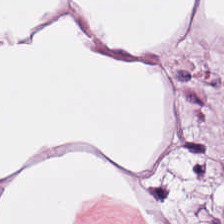224×224 px patch; 0.5 µm per pixel; hematoxylin and eosin.
Predominantly adipocytes.
